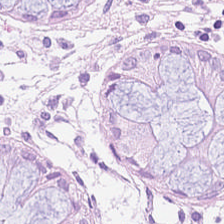Hematoxylin and eosin. {"tissue_type": "benign colonic mucosa"}
